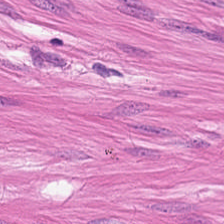H&E. Tissue class = smooth muscle.
